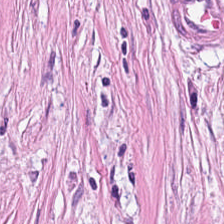H&E-stained tissue section.
Q: What does this patch show?
A: The field shows cancer-associated stroma.
